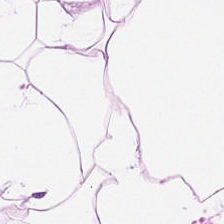The predominant tissue is adipocytes.
